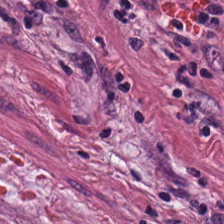224×224 pixel tile. Formalin-fixed paraffin-embedded section. Hematoxylin and eosin — Tissue type: cancer-associated stroma.
